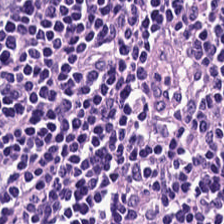Q: What is the predominant tissue type?
A: The field shows lymphocyte aggregate.
